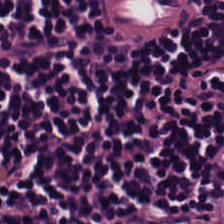The classification is lymphocyte aggregate.
